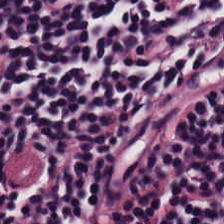Tissue type — lymphocytic infiltrate.
